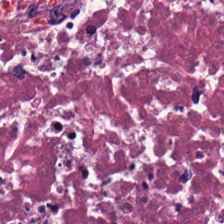Stain: H&E-stained tissue section.
Resolution: 0.5 microns per pixel.
Preparation: FFPE tissue section.
Tissue: debris.
